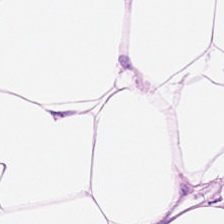224×224 pixel tile; hematoxylin and eosin — Impression — adipose tissue.
